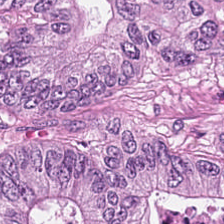H&E-stained section; the field shows colorectal adenocarcinoma epithelium.
